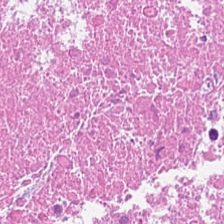Whole-slide-image patch · 0.5 microns per pixel · H&E stain.
This field is necrotic debris.
